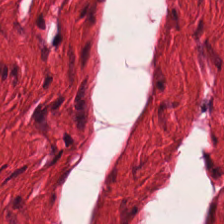This patch shows smooth-muscle tissue.
